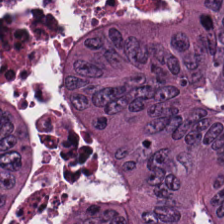Tissue class: colorectal adenocarcinoma.
